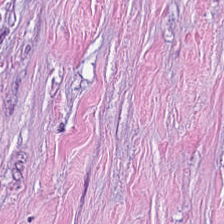H&E. 0.5 microns per pixel. Classification: desmoplastic stroma.
